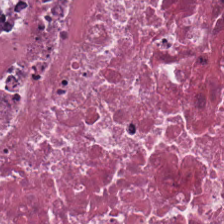Tissue class = cellular debris.
